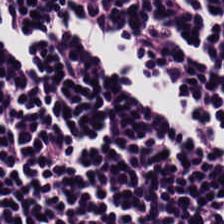H&E — The predominant tissue is lymphocytes.
